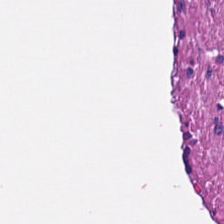H&E stain. Q: What type of tissue is this?
A: This is smooth-muscle tissue.
